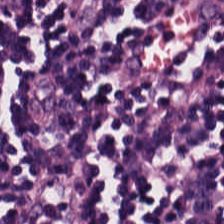H&E.
Tissue = lymphocytes.
